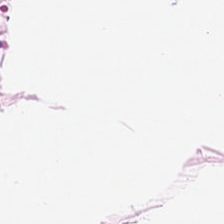FFPE tissue section; H&E stain — This patch shows adipose tissue.
